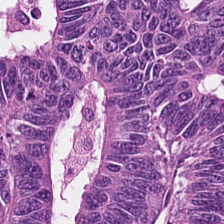224×224 px tile. Hematoxylin-and-eosin stained section.
Q: What type of tissue is this?
A: It is adenocarcinoma.
